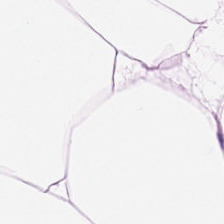Tissue type: adipocytes.
